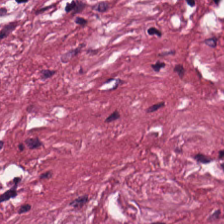0.5 µm/px; H&E stain. Tissue class = cancer-associated stroma.
